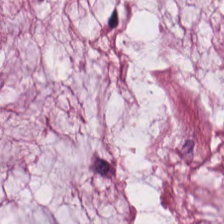H&E. Predominantly extracellular mucin.
